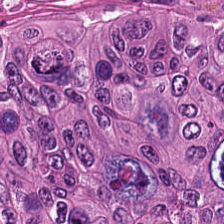Hematoxylin-and-eosin stained section; whole-slide-image patch — Q: What is the predominant tissue type?
A: This is colorectal adenocarcinoma.
